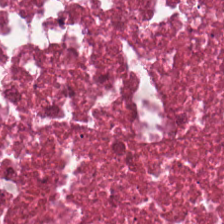Histology → necrotic debris.
